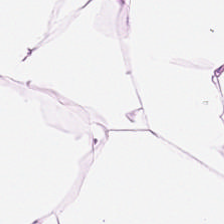H&E.
This patch shows fat tissue.
